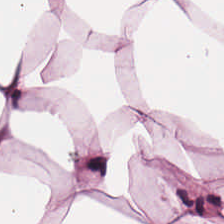0.5 microns per pixel. H&E stain. The tissue is adipocytes.
